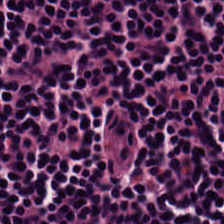Hematoxylin-and-eosin stained section.
Impression — lymphocytic infiltrate.
